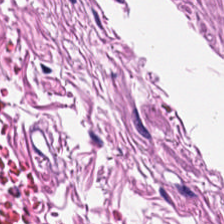Hematoxylin and eosin. Formalin-fixed paraffin-embedded section. WSI patch. Tissue class = smooth-muscle tissue.
